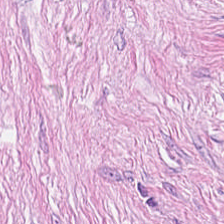Q: What does this patch show?
A: The field shows tumor-associated stroma.
